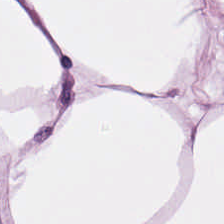The predominant tissue is adipocytes.
